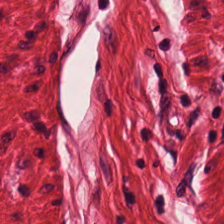Formalin-fixed paraffin-embedded section · H&E-stained tissue section. The predominant tissue is smooth muscle.
